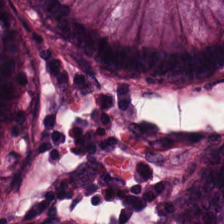Formalin-fixed paraffin-embedded section. Hematoxylin and eosin.
Histology — non-neoplastic colon mucosa.
